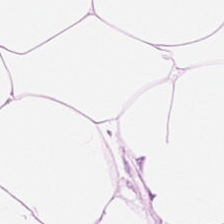H&E. FFPE tissue section. Brightfield microscopy — Predominantly adipose tissue.
